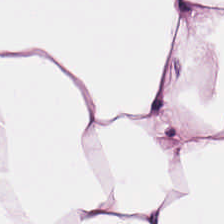WSI patch; hematoxylin-and-eosin stained section.
Predominant tissue: fat tissue.
